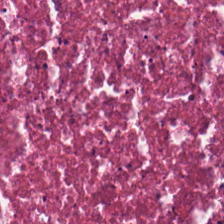Hematoxylin and eosin. FFPE.
Tissue class — necrotic debris.
